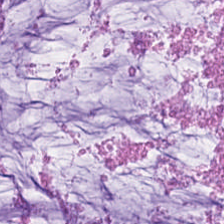Q: Identify the tissue.
A: Mucin.
